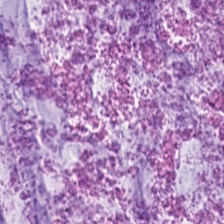H&E stain; 224×224 px patch — This patch shows extracellular mucin.
